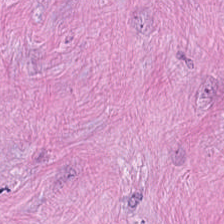Stain: H&E stain.
Preparation: FFPE.
Tissue: cancer-associated stroma.
